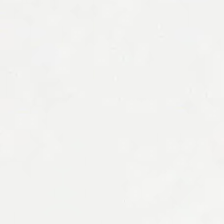H&E stain.
Content = empty background.
